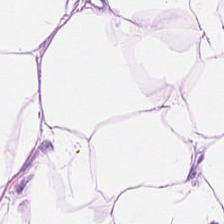H&E stain.
Tissue class — adipose tissue.
